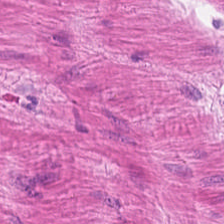Brightfield microscopy · hematoxylin-and-eosin stained section — Tissue class — smooth-muscle tissue.
